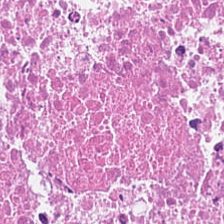The predominant tissue is necrotic debris.
